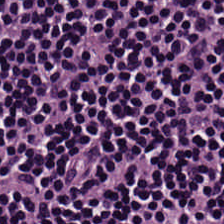Stain: H&E-stained tissue section.
Tissue class: lymphocytic infiltrate.
